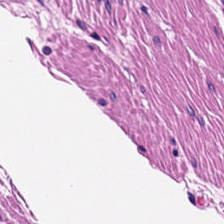Stain: H&E.
Tissue type: smooth-muscle tissue.
